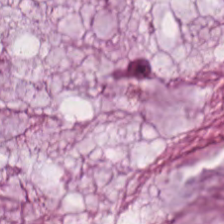Hematoxylin and eosin. FFPE tissue section. 0.5 µm per pixel.
Q: Identify the tissue.
A: The field shows mucus.
